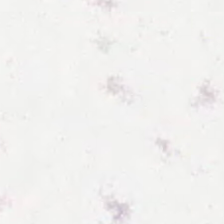Stain: H&E.
Acquisition: brightfield microscopy.
Classification: no tissue.
